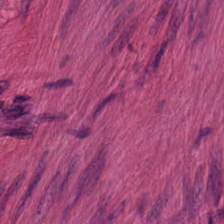Showing smooth-muscle tissue.
